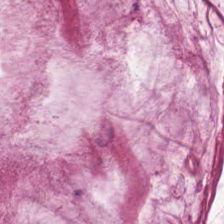H&E-stained tissue section · whole-slide-image patch — Tissue type — mucus.
